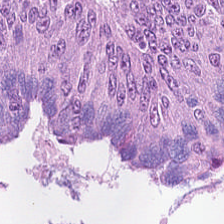H&E stain. This patch shows colorectal adenocarcinoma.
